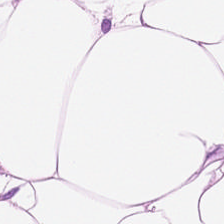H&E stain. Histology — fat tissue.
